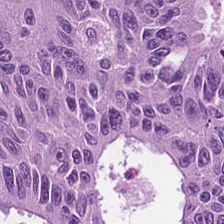H&E-stained tissue section; FFPE; 224×224 px patch. Impression — colorectal adenocarcinoma.
